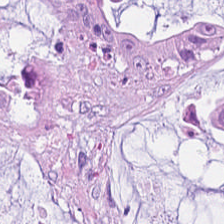Hematoxylin and eosin. Brightfield microscopy. FFPE.
Showing extracellular mucin.
